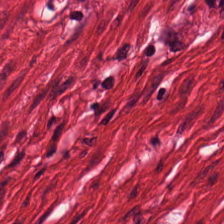H&E.
Predominantly smooth muscle.
